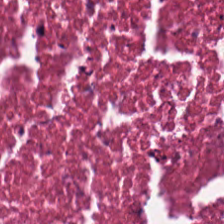Hematoxylin-and-eosin stained section. Tissue — necrotic debris.
